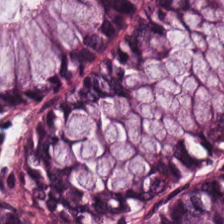Hematoxylin-and-eosin stained section · 20× equivalent magnification.
The tissue here is normal colon mucosa.
